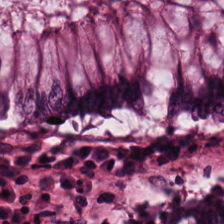0.5 µm/px · hematoxylin and eosin — Non-neoplastic colon mucosa.
